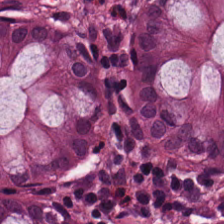H&E-stained tissue section. Tissue class — normal colon mucosa.
